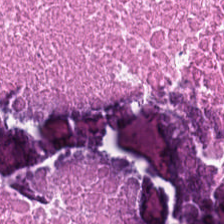{"tissue_type": "debris"}
